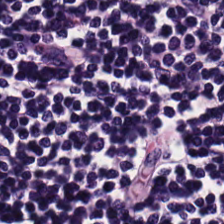Hematoxylin and eosin — The classification is lymphoid infiltrate.
